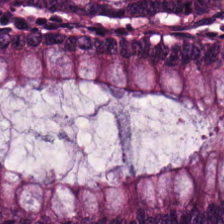Stain: H&E stain.
Tissue type: normal colon mucosa.
